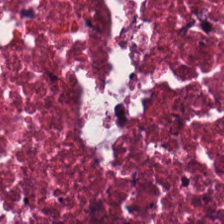FFPE; 20× equivalent magnification; hematoxylin and eosin. Predominantly cellular debris.
